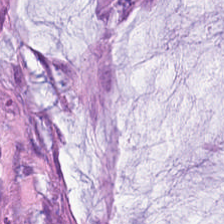Hematoxylin-and-eosin stained section — Q: Identify the tissue.
A: It is mucus.
